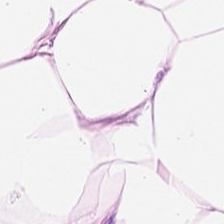Hematoxylin-and-eosin section: adipose tissue.
